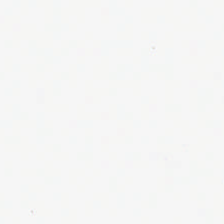H&E-stained tissue section — The classification is no tissue.
